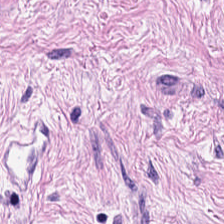H&E — Q: Identify the tissue.
A: Cancer-associated stroma.
